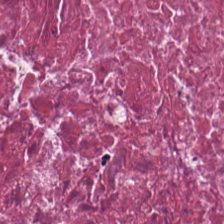H&E-stained tissue section. The predominant tissue is cellular debris.
